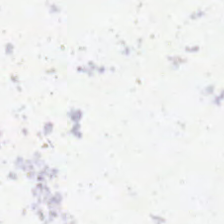{"content": "empty background"}
